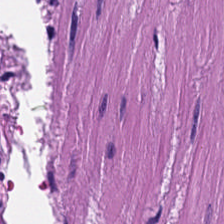H&E stain.
Q: What tissue is shown?
A: This is smooth-muscle tissue.
